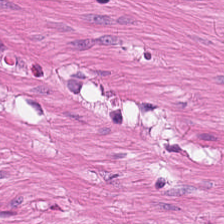Stain: hematoxylin and eosin.
Acquisition: WSI patch.
Tissue: smooth muscle.
